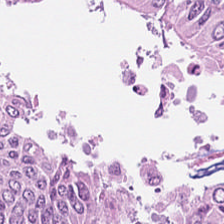H&E-stained tissue section; 224×224 pixel tile. Predominant tissue = malignant epithelium.
